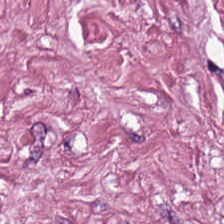Tumor-associated stroma.
